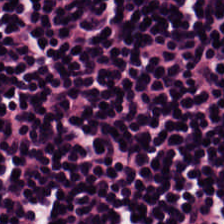H&E — lymphocytic infiltrate.
